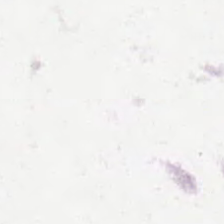H&E. Classification — background.
